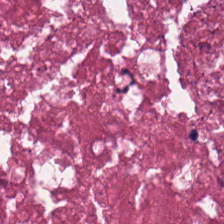Predominantly cellular debris.
